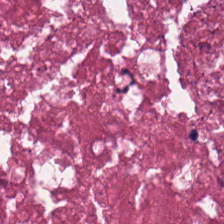Predominantly cellular debris.
